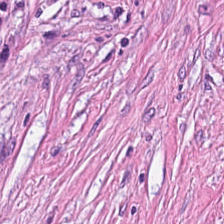H&E stain · FFPE — {"tissue_type": "tumor-associated stroma"}
